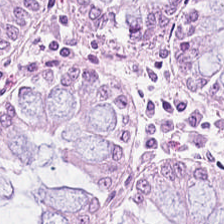H&E-stained tissue section. 0.5 µm per pixel. FFPE.
Tissue — normal colonic mucosa.
